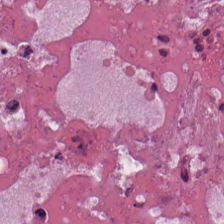Q: Classify this patch.
A: Cellular debris.
